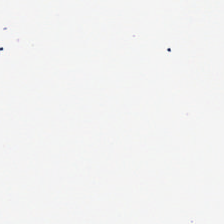H&E. {"content": "no tissue"}
